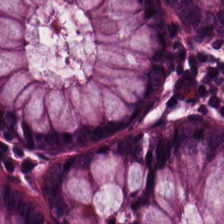0.5 µm/px; H&E-stained tissue section — Q: Classify this patch.
A: It is normal colonic mucosa.
